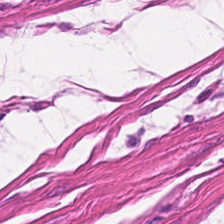H&E-stained tissue section. This patch shows smooth-muscle tissue.
